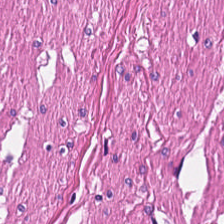Tissue class = muscularis.
